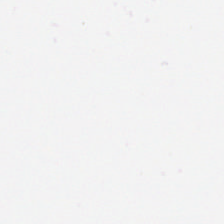Finding — background.
